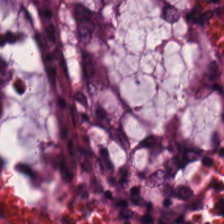This field is benign colonic mucosa.
